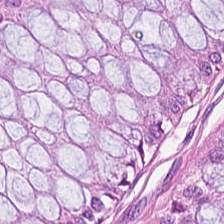The tissue class is normal colon mucosa.
